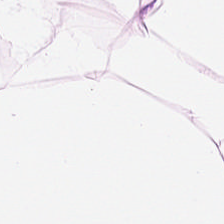H&E. Q: What is shown in this field?
A: The field shows adipose.
